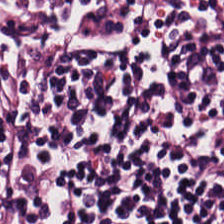Stain: H&E.
Classification: lymphocytic infiltrate.
